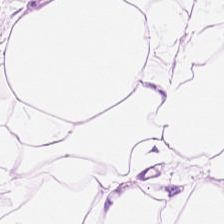H&E-stained tissue section · 20× equivalent magnification.
This patch shows fat tissue.
